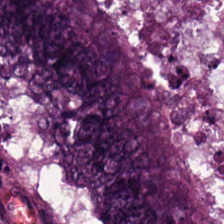FFPE · H&E-stained tissue section. The tissue type is adenocarcinoma.
